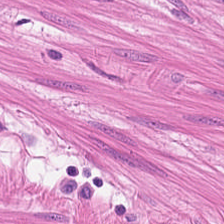H&E stain — Q: What is the predominant tissue type?
A: Smooth muscle.
